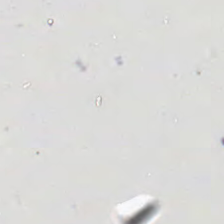Hematoxylin and eosin · 224×224 pixel tile.
This field is background (no tissue).
